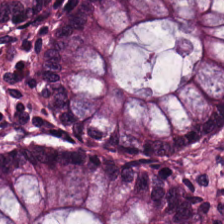Hematoxylin-and-eosin stained section — Q: Identify the tissue.
A: Normal colonic mucosa.
